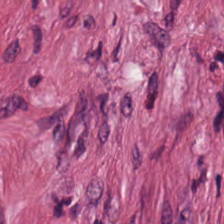Hematoxylin and eosin. Predominantly tumor stroma.
